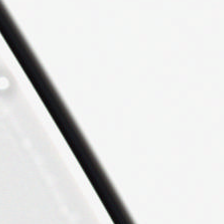FFPE · H&E · 224×224 px patch. This patch shows no tissue.
